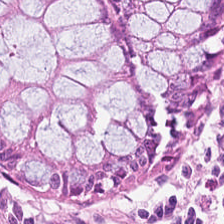This patch shows benign colonic mucosa.
